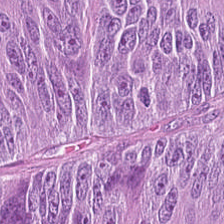FFPE. Brightfield microscopy. H&E. {"tissue_type": "malignant epithelium"}
